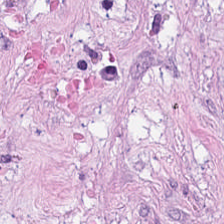Hematoxylin-and-eosin stained section.
The tissue is tumor stroma.
